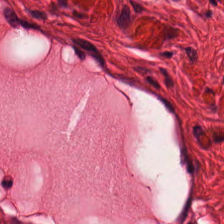H&E stain.
Muscularis.
